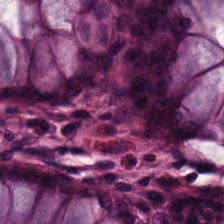Hematoxylin and eosin. 224×224 px tile. Histology → benign colonic mucosa.
